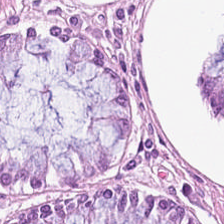The tissue is normal colonic mucosa.
